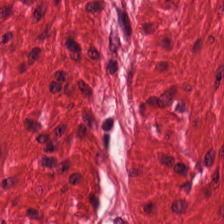Impression — smooth muscle.
